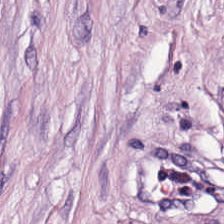224×224 px patch; H&E stain; whole-slide-image patch — {"tissue_type": "tumor-associated stroma"}
